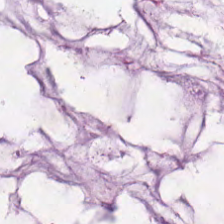H&E-stained tissue section. This patch shows mucin.
